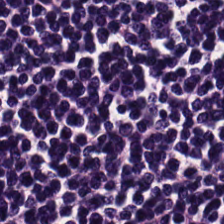Hematoxylin-and-eosin stained section. Impression — lymphocytes.
